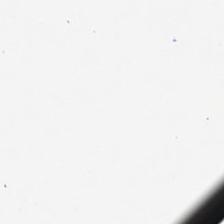Classification — no tissue.
